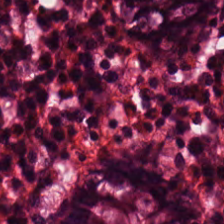224×224 px tile · hematoxylin-and-eosin stained section · whole-slide-image patch.
Tissue class — non-neoplastic colon mucosa.
